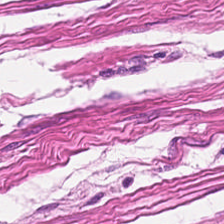H&E. This patch shows smooth muscle.
